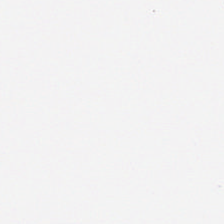224×224 pixel tile. H&E stain.
No tissue present; background only.
